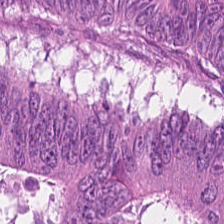Hematoxylin and eosin — Impression — adenocarcinoma.
